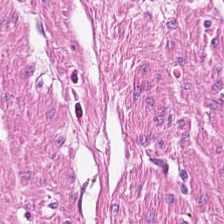H&E stain; 0.5 µm per pixel. Classification — muscularis.
